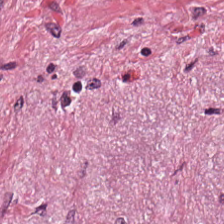H&E-stained tissue section. The tissue here is tumor-associated stroma.
